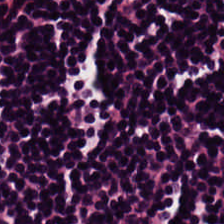The tissue class is lymphoid infiltrate.
